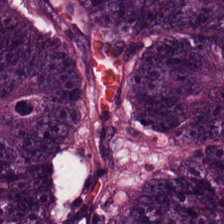Predominantly colorectal adenocarcinoma epithelium.
